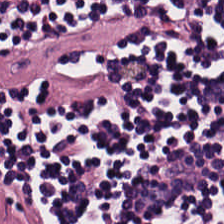Stain: H&E stain.
Tissue class: lymphocytic infiltrate.
